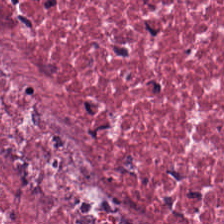Stain: H&E.
Acquisition: brightfield.
Preparation: FFPE.
Predominant tissue: cancer-associated stroma.
